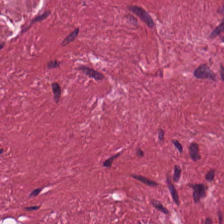H&E stain. Predominantly tumor stroma.
